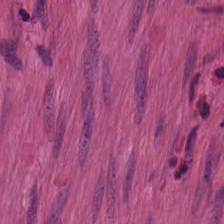Stain: H&E-stained tissue section.
Preparation: formalin-fixed paraffin-embedded section.
Tissue type: muscularis.
